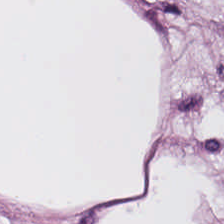FFPE. 0.5 microns per pixel. H&E — This patch shows adipose.
